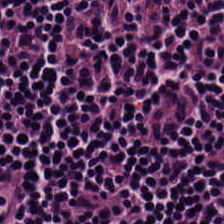Lymphocytic infiltrate.
